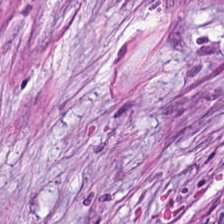Hematoxylin and eosin.
Tissue = cancer-associated stroma.
